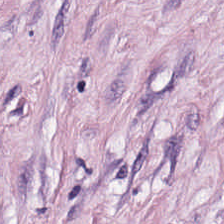Hematoxylin and eosin · 224×224 px patch.
The predominant tissue is cancer-associated stroma.
